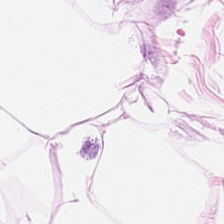Hematoxylin-and-eosin stained section — This patch shows fat tissue.
